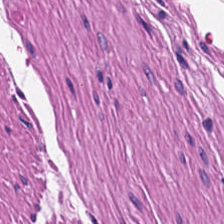Hematoxylin-and-eosin stained section. The tissue here is smooth muscle.
